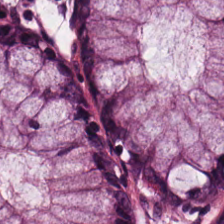H&E-stained tissue section; WSI patch.
Tissue type = benign colonic mucosa.
